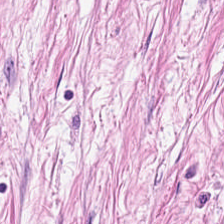H&E stain; 0.5 microns per pixel — Q: What is shown here?
A: The field shows desmoplastic stroma.
